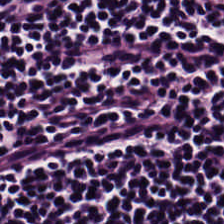Finding → lymphoid infiltrate.
